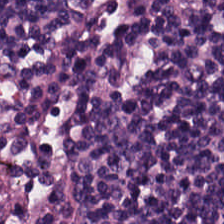Predominantly lymphocyte aggregate.
